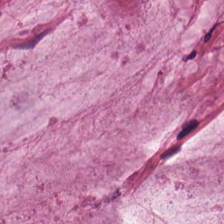H&E; brightfield microscopy — Classification: extracellular mucin.
